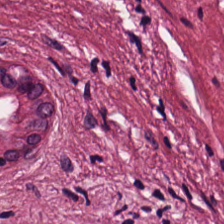H&E-stained tissue section. 224×224 px tile. 0.5 µm/px. Predominantly tumor stroma.
